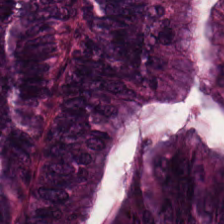Hematoxylin-and-eosin section: colorectal adenocarcinoma epithelium.
